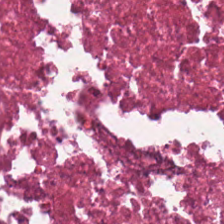Formalin-fixed paraffin-embedded section; 0.5 µm/px; hematoxylin-and-eosin stained section — Predominantly necrotic debris.
